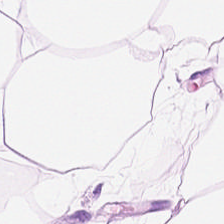H&E-stained tissue section — This patch shows adipocytes.
